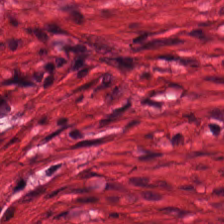Hematoxylin-and-eosin section: smooth-muscle tissue.
